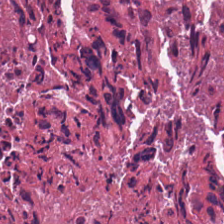Classification — necrotic debris.
